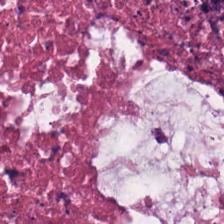Impression — cellular debris.
